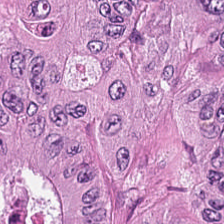20× equivalent magnification. H&E stain. Formalin-fixed paraffin-embedded section.
Tissue type: adenocarcinoma.
